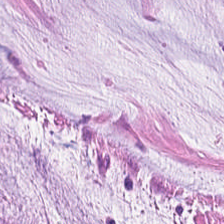H&E.
This field is mucin.
